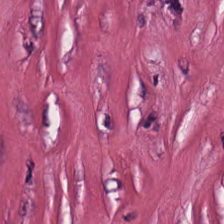H&E stain. WSI patch. FFPE — Tissue type — cancer-associated stroma.
